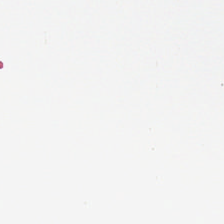This patch shows background.
